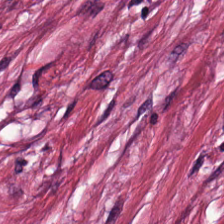224×224 pixel tile · H&E-stained tissue section. Q: What is the predominant tissue type?
A: The field shows tumor stroma.
